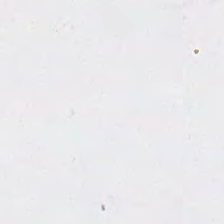Hematoxylin and eosin; FFPE tissue section.
Q: Classify this patch.
A: Empty background.
